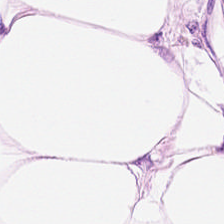Hematoxylin and eosin. Classification = fat tissue.
